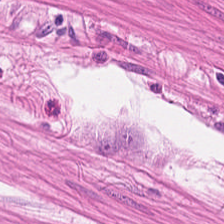H&E stain — Classification — smooth-muscle tissue.
